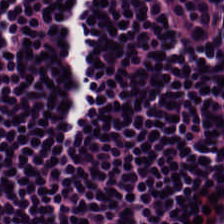20× equivalent magnification · H&E.
Showing lymphocyte aggregate.
